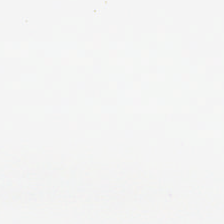224×224 px patch. H&E. Field content — background (no tissue).
